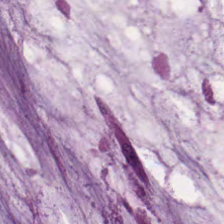Hematoxylin and eosin.
{"tissue_type": "extracellular mucin"}
